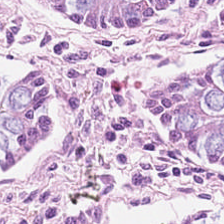H&E-stained tissue section showing benign colonic mucosa.
